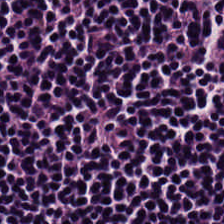Formalin-fixed paraffin-embedded section · hematoxylin and eosin — The tissue here is lymphoid infiltrate.
